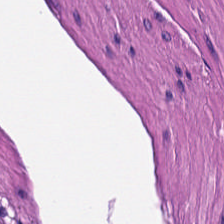Formalin-fixed paraffin-embedded section · hematoxylin-and-eosin stained section · brightfield.
Predominantly muscularis.
